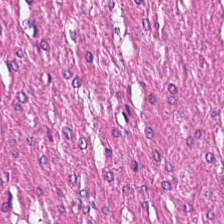Hematoxylin-and-eosin stained section. 0.5 µm per pixel.
Predominantly smooth-muscle tissue.
